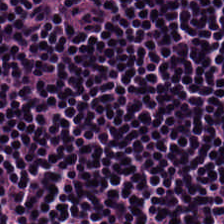H&E-stained tissue section — The tissue is lymphocyte aggregate.
